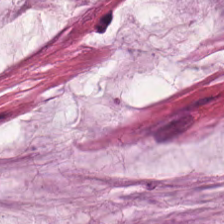Tissue class: mucus.
